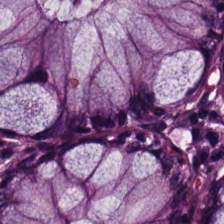H&E-stained tissue section · formalin-fixed paraffin-embedded section. The tissue here is normal colonic mucosa.
